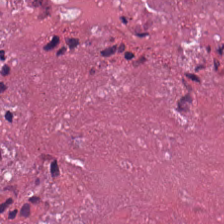H&E-stained tissue section — Tissue type = cellular debris.
